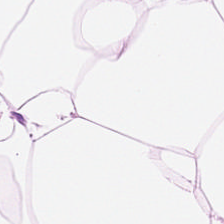Q: What tissue type is shown here?
A: This is adipose tissue.
